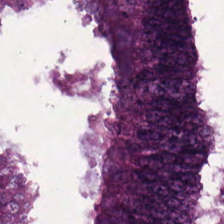Hematoxylin and eosin.
The tissue here is malignant epithelium.
